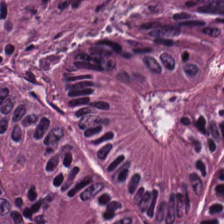The tissue class is tumor epithelium.
